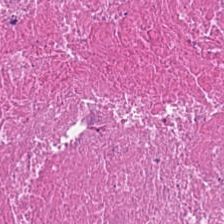H&E-stained tissue section — Necrotic debris.
